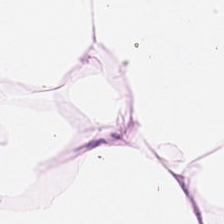Finding — adipose tissue.
